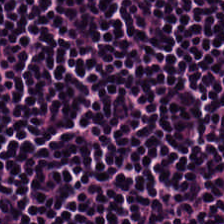Finding → lymphocyte aggregate.
